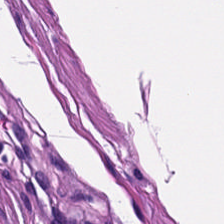H&E.
Smooth muscle.
